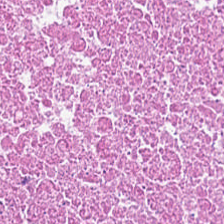224×224 px patch. H&E stain.
{"tissue_type": "necrotic debris"}
